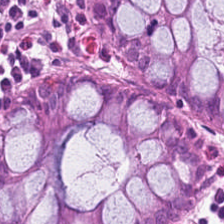H&E-stained tissue section — Predominant tissue = non-neoplastic colon mucosa.
